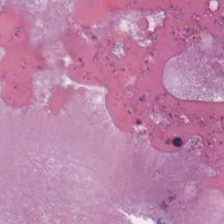H&E · 224×224 px patch · 0.5 µm/px. Histology — debris.
